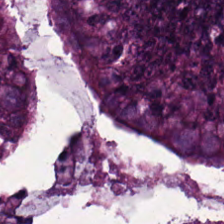Stain: hematoxylin and eosin.
Classification: adenocarcinoma.
